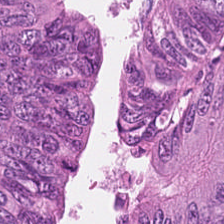20× equivalent magnification. H&E stain — Predominantly tumor epithelium.
